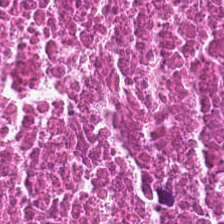Hematoxylin-and-eosin stained section. 20× equivalent magnification.
Predominantly necrotic debris.
